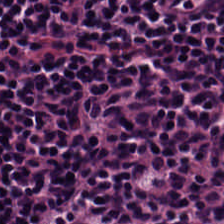Hematoxylin and eosin — Predominantly lymphoid infiltrate.
